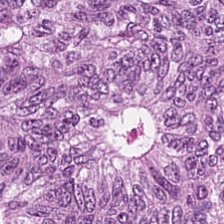Stain: hematoxylin and eosin.
Predominant tissue: colorectal adenocarcinoma epithelium.
